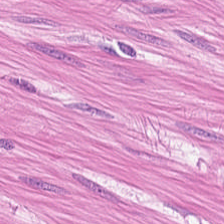224×224 px patch; H&E stain.
Smooth muscle.
